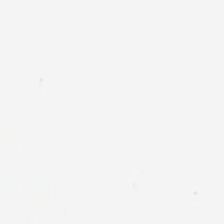Classification: empty background.
